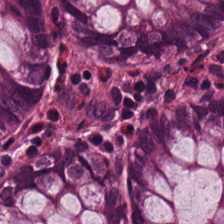H&E stain. 0.5 µm per pixel.
Q: Classify this patch.
A: Normal colonic mucosa.
